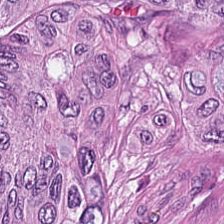H&E-stained tissue section — Q: What is the predominant tissue type?
A: The field shows malignant epithelium.
